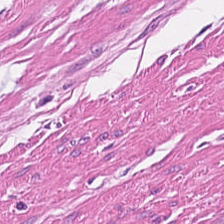Whole-slide-image patch; H&E-stained tissue section. Histology → smooth muscle.
